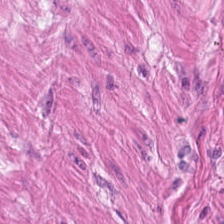Formalin-fixed paraffin-embedded section; hematoxylin-and-eosin stained section.
Smooth muscle.
